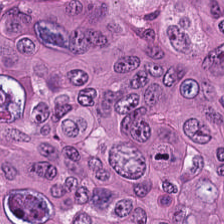Brightfield microscopy. Hematoxylin and eosin. 224×224 px tile — Colorectal adenocarcinoma.
